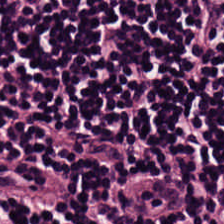H&E stain.
Finding — lymphocytic infiltrate.
